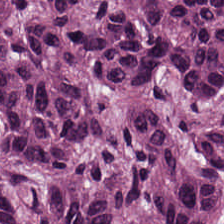Tissue type = malignant epithelium.
